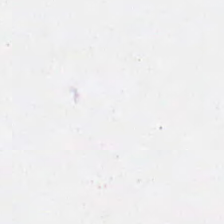H&E. FFPE tissue section. No tissue present; background only.
